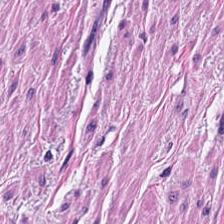224×224 pixel tile. Hematoxylin-and-eosin stained section.
Showing muscularis.
